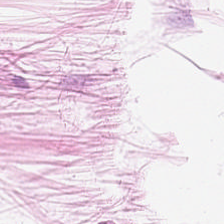H&E.
Tissue type: adipose.
